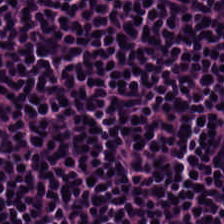H&E-stained tissue section; whole-slide-image patch; 224×224 px tile.
Finding → lymphocytic infiltrate.
